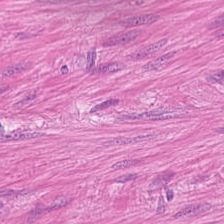0.5 microns per pixel · H&E stain · 224×224 px patch — This patch shows smooth-muscle tissue.
